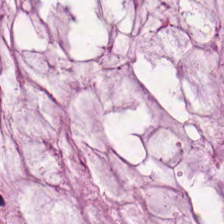Mucus.
